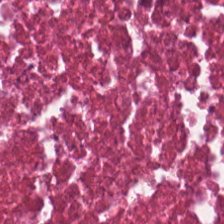Hematoxylin and eosin.
The classification is cellular debris.
